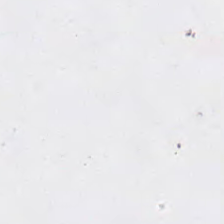H&E-stained tissue section. Q: What is shown in this field?
A: This is background (no tissue).
